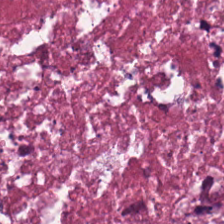H&E stain — Tissue type: cellular debris.
